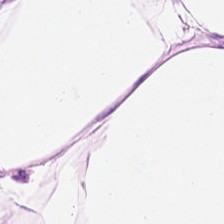Hematoxylin and eosin; FFPE. Histology — adipocytes.
